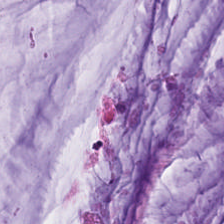FFPE tissue section; whole-slide-image patch; H&E stain — The predominant tissue is mucin.
